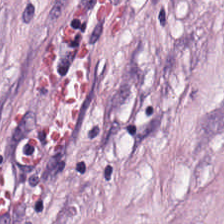H&E-stained tissue section — Classification = tumor-associated stroma.
